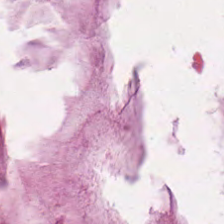WSI patch. 224×224 px tile. Hematoxylin and eosin.
Finding — mucus.
